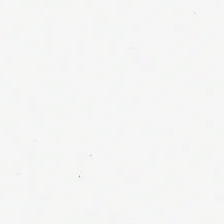H&E · FFPE tissue section — Classification — empty background.
